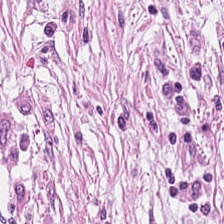Formalin-fixed paraffin-embedded section; hematoxylin and eosin.
{"tissue_type": "tumor-associated stroma"}
